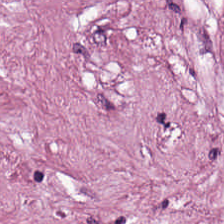H&E stain. Brightfield. FFPE tissue section.
This field is tumor-associated stroma.
